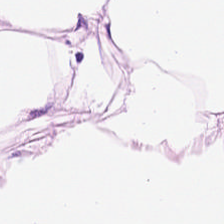H&E stain. WSI patch. FFPE.
Q: What is shown here?
A: Adipose.
